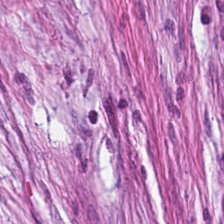FFPE. Hematoxylin and eosin.
Finding → cancer-associated stroma.
